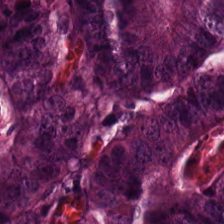Stain: H&E-stained tissue section.
Tissue: tumor epithelium.
